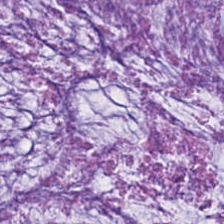H&E stain.
{"tissue_type": "extracellular mucin"}
